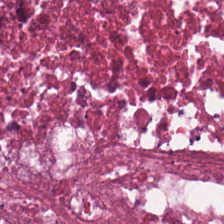FFPE. H&E. Predominantly cellular debris.
